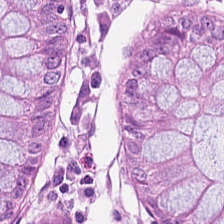Hematoxylin-and-eosin stained section — Tissue type — benign colonic mucosa.
